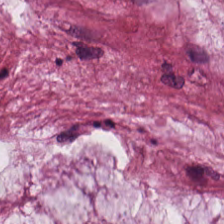H&E stain — Q: What tissue is shown?
A: It is mucin.
